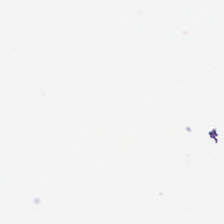Hematoxylin and eosin · FFPE tissue section · 0.5 µm per pixel.
Histology → no tissue.
